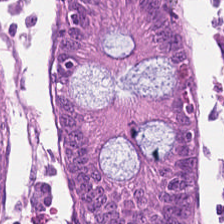H&E stain. Q: Identify the tissue.
A: It is benign colonic mucosa.
